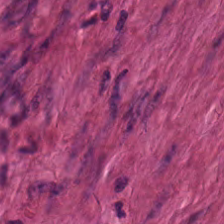H&E stain. Q: What tissue type is shown here?
A: The field shows smooth-muscle tissue.
